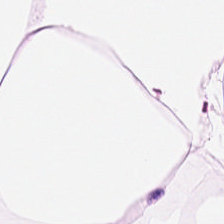FFPE · 224×224 px patch · hematoxylin-and-eosin stained section. Impression → adipose.
